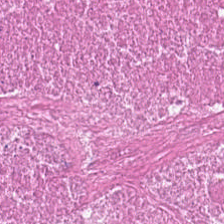FFPE. Hematoxylin and eosin — Tissue type = cellular debris.
